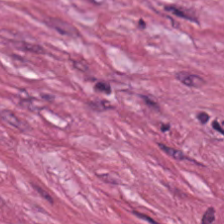H&E stain; 0.5 microns per pixel.
Q: What type of tissue is this?
A: It is desmoplastic stroma.
